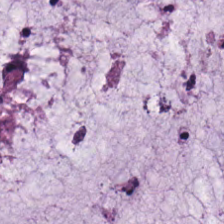Predominant tissue: mucus.
